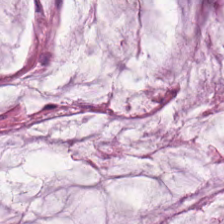H&E — mucus.
